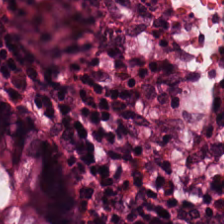H&E stain.
This patch shows normal colon mucosa.
